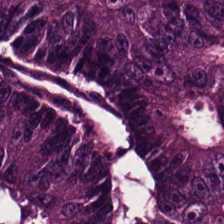H&E-stained tissue section; 0.5 microns per pixel; FFPE tissue section. Tissue = tumor epithelium.
